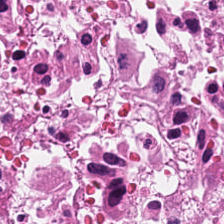Stain: H&E stain.
Tissue class: cellular debris.
